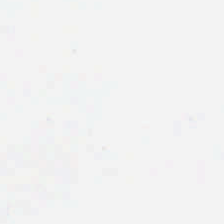Hematoxylin-and-eosin stained section. Background — no tissue in this field.
